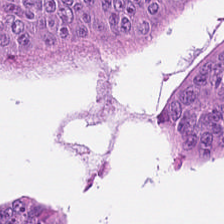0.5 µm per pixel; H&E-stained tissue section. Q: What is shown here?
A: This is colorectal adenocarcinoma epithelium.
